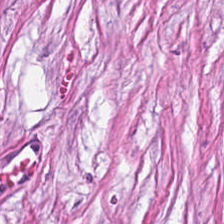Tissue class: desmoplastic stroma.
